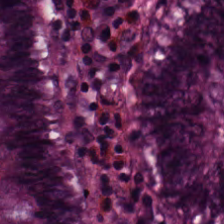FFPE tissue section · H&E stain. Q: What tissue type is shown here?
A: The field shows benign colonic mucosa.
